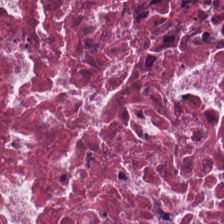H&E patch showing cellular debris.
